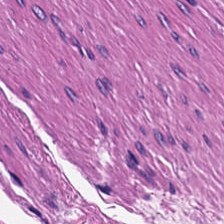20× equivalent magnification; hematoxylin and eosin; 224×224 px tile — Impression → smooth-muscle tissue.
